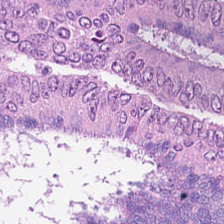Hematoxylin-and-eosin stained section — Q: What is shown here?
A: This is colorectal adenocarcinoma epithelium.
